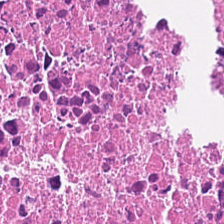Hematoxylin-and-eosin section: debris.
